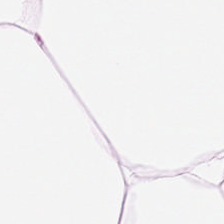Classification: adipose.
